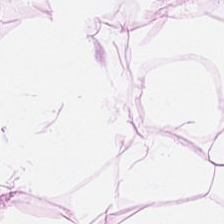Hematoxylin and eosin. Tissue = fat tissue.
